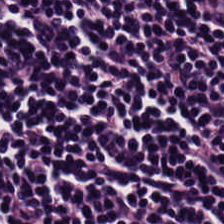Tissue — lymphoid infiltrate.
